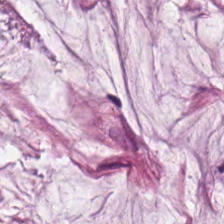FFPE tissue section · H&E — Finding → mucin.
